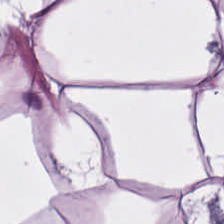Q: What tissue type is shown here?
A: Adipose.
